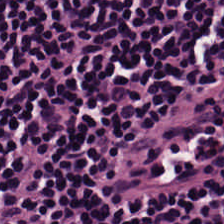H&E-stained tissue section.
The predominant tissue is lymphoid infiltrate.
